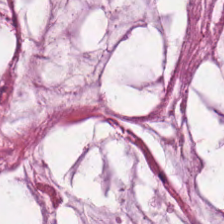224×224 px patch. H&E-stained tissue section. Brightfield — Tissue class — mucus.
